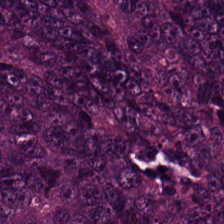H&E. 224×224 px tile. 0.5 µm per pixel.
{"tissue_type": "colorectal adenocarcinoma"}
